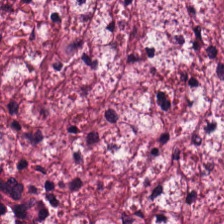Predominant tissue: desmoplastic stroma.
